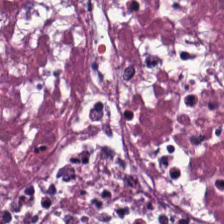H&E. 0.5 microns per pixel — Cellular debris.
